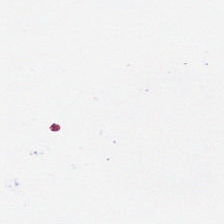Formalin-fixed paraffin-embedded section. Brightfield. Hematoxylin and eosin. This patch shows background (no tissue).
